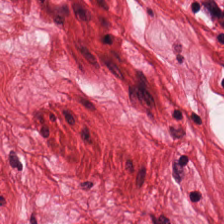H&E stain. FFPE tissue section — Q: What is shown in this field?
A: The field shows muscularis.
